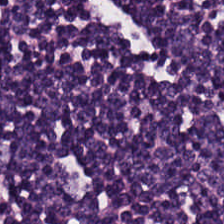Hematoxylin and eosin.
Predominant tissue: lymphocytes.
